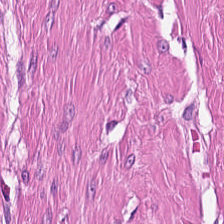This patch shows smooth-muscle tissue.
